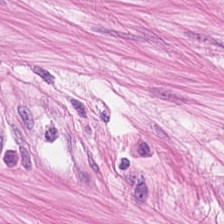H&E stain. Q: Identify the tissue.
A: The field shows muscularis.
